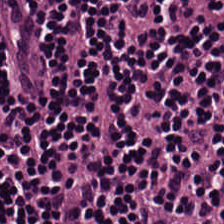Tissue class: lymphocyte aggregate.
